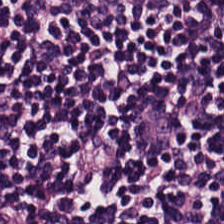H&E-stained tissue section. Showing lymphocytes.
